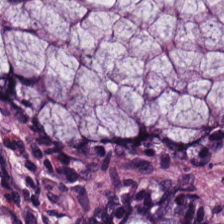H&E stain. FFPE.
Tissue type: normal colon mucosa.
